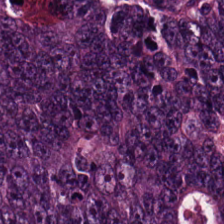Hematoxylin and eosin — Tumor epithelium.
